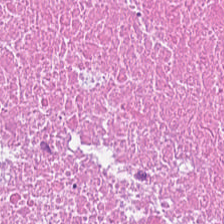Q: What does this patch show?
A: It is necrotic debris.
